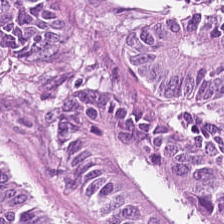Stain: hematoxylin and eosin.
Tissue class: adenocarcinoma.
